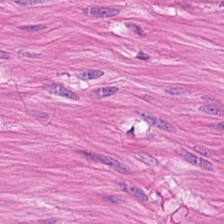H&E patch showing smooth-muscle tissue.
